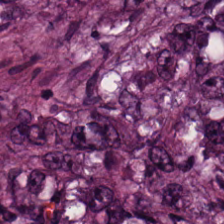224×224 px patch. Hematoxylin-and-eosin stained section. Impression — malignant epithelium.
